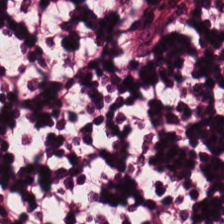H&E. {"tissue_type": "lymphoid infiltrate"}
